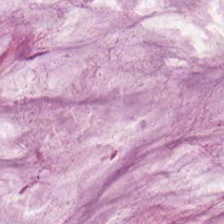H&E-stained tissue section · 224×224 px patch — Q: Identify the tissue.
A: Extracellular mucin.
